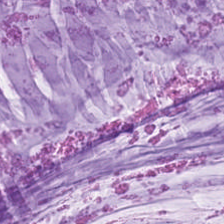Stain: hematoxylin and eosin.
Preparation: FFPE tissue section.
Tissue class: extracellular mucin.
